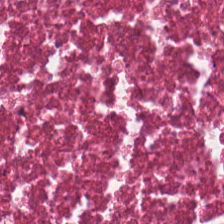The tissue class is cellular debris.
